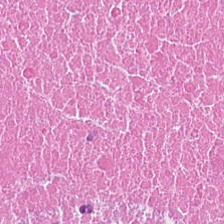Hematoxylin and eosin. Brightfield. 0.5 µm per pixel — The predominant tissue is debris.
